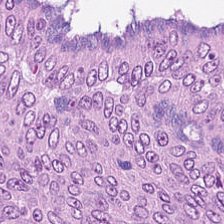0.5 µm per pixel; H&E — Tissue class: adenocarcinoma.
